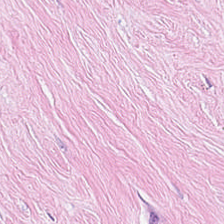Stain: H&E-stained tissue section.
Classification: desmoplastic stroma.
